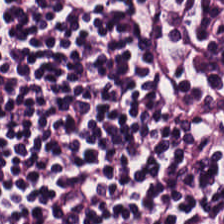H&E. The tissue here is lymphoid infiltrate.
